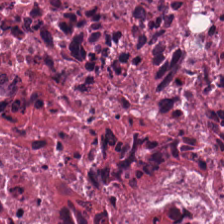H&E-stained tissue section · 0.5 microns per pixel.
Predominantly cellular debris.
